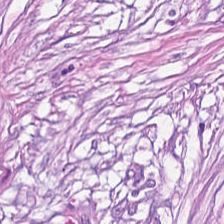Stain: H&E stain.
Tissue: tumor-associated stroma.
